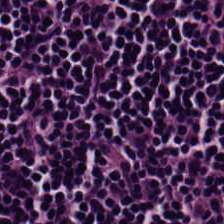H&E · whole-slide-image patch.
The tissue is lymphoid infiltrate.
